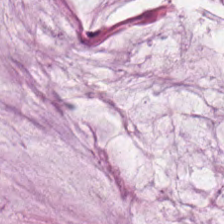224×224 pixel tile · hematoxylin-and-eosin stained section.
Q: What does this patch show?
A: The field shows mucus.
